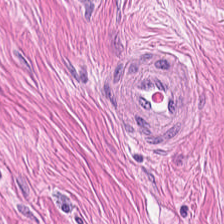Tissue type — smooth muscle.
